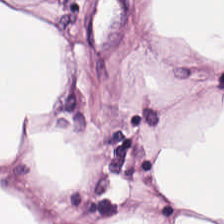Q: What tissue is shown?
A: Adipose.
